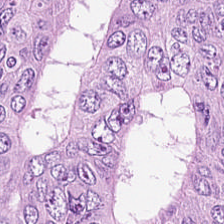Stain: H&E.
Tile size: 224×224 px tile.
Resolution: 20× equivalent magnification.
Tissue: malignant epithelium.
